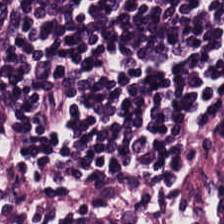H&E stain — This patch shows lymphocytes.
